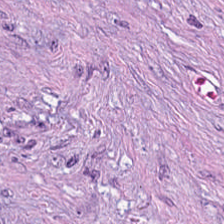Stain: hematoxylin and eosin.
Tissue type: cancer-associated stroma.
